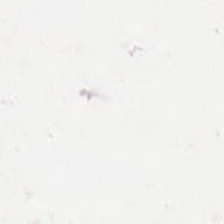Hematoxylin-and-eosin stained section — Histology → background (no tissue).
